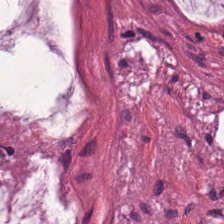Brightfield microscopy. H&E-stained tissue section — The tissue is mucus.
